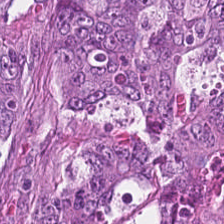Histology → colorectal adenocarcinoma epithelium.
